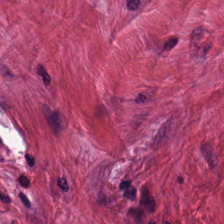This patch shows tumor-associated stroma.
